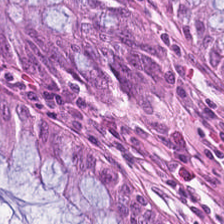H&E; FFPE tissue section.
Tissue type: non-neoplastic colon mucosa.
